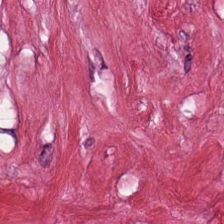H&E — Impression — tumor stroma.
